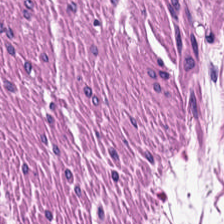H&E-stained tissue section · brightfield microscopy — Q: What tissue is shown?
A: It is smooth-muscle tissue.
